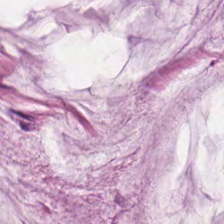224×224 pixel tile; H&E stain — The tissue here is mucus.
